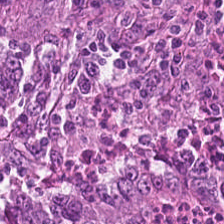H&E-stained tissue section. Q: Classify this patch.
A: This is colorectal adenocarcinoma.
